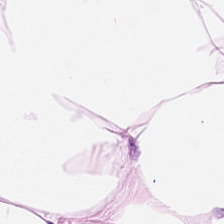Hematoxylin and eosin — {"tissue_type": "adipose tissue"}
